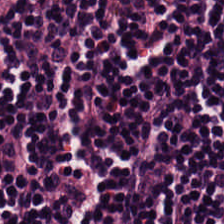Stain: H&E.
Acquisition: whole-slide-image patch.
Classification: lymphoid infiltrate.
